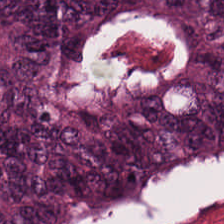Stain: hematoxylin and eosin.
Acquisition: brightfield.
Preparation: FFPE tissue section.
Tissue: tumor epithelium.
